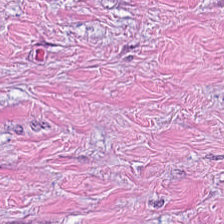This field is cancer-associated stroma.
